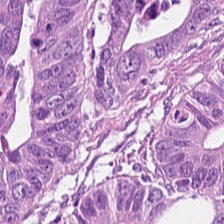This patch shows malignant epithelium.
